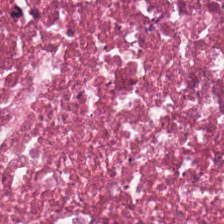20× equivalent magnification. FFPE tissue section. Hematoxylin-and-eosin stained section — Q: What tissue type is shown here?
A: The field shows necrotic debris.
